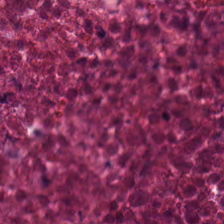H&E stain — The predominant tissue is debris.
